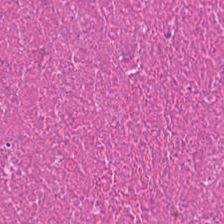Hematoxylin and eosin; 0.5 µm per pixel. Q: Identify the tissue.
A: This is necrotic debris.
